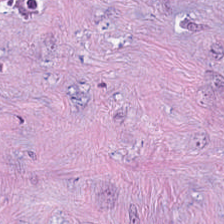Hematoxylin-and-eosin stained section. Q: What is the predominant tissue type?
A: This is desmoplastic stroma.
